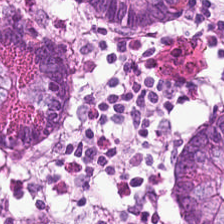Hematoxylin and eosin. 224×224 px tile. Brightfield microscopy.
Q: What is shown here?
A: It is benign colonic mucosa.
